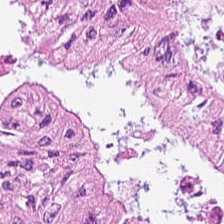Hematoxylin-and-eosin stained section; brightfield microscopy.
Classification = malignant epithelium.
